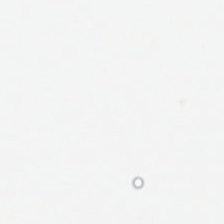Hematoxylin-and-eosin stained section — Content — background.
